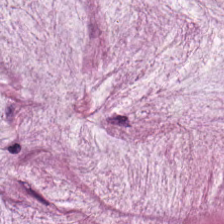H&E-stained tissue section. The tissue class is extracellular mucin.
